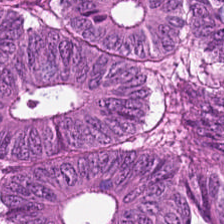H&E patch showing colorectal adenocarcinoma.
